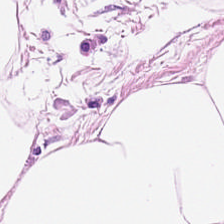H&E-stained section; the field shows fat tissue.
